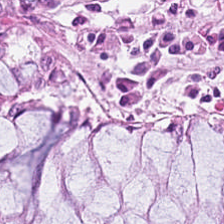224×224 pixel tile. H&E-stained tissue section — The tissue is benign colonic mucosa.
